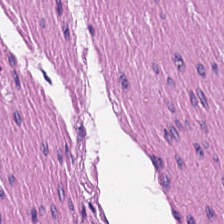Hematoxylin and eosin — This field is smooth-muscle tissue.
